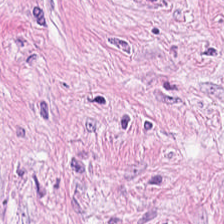Hematoxylin-and-eosin stained section.
Histology — desmoplastic stroma.
